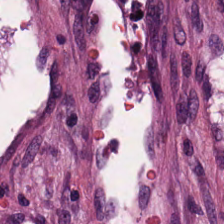Hematoxylin-and-eosin stained section — Tissue type = cancer-associated stroma.
